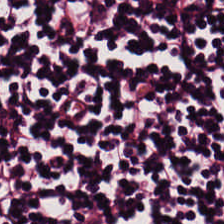Q: What type of tissue is this?
A: The field shows lymphocyte aggregate.
